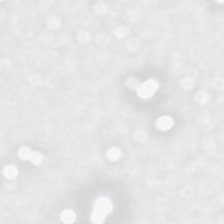Hematoxylin and eosin — Content — no tissue.
